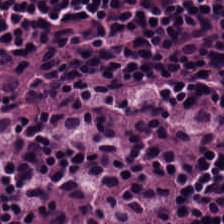Stain: H&E-stained tissue section.
Tile size: 224×224 px patch.
Classification: lymphocyte aggregate.
